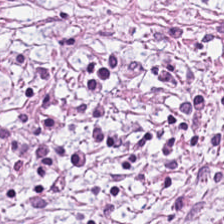Tissue class = desmoplastic stroma.
